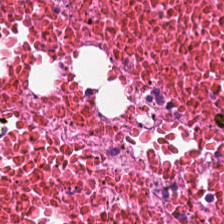Stain: H&E stain.
Resolution: 0.5 µm/px.
Tile size: 224×224 pixel tile.
Predominant tissue: debris.
